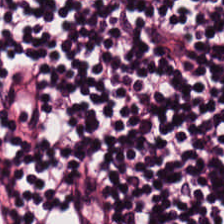This field is lymphocytic infiltrate.
